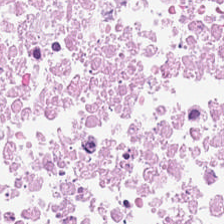Formalin-fixed paraffin-embedded section. H&E-stained tissue section — Q: What tissue type is shown here?
A: This is debris.
